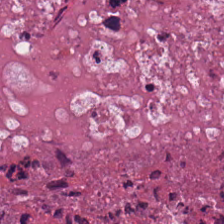224×224 px patch · H&E stain · WSI patch — Necrotic debris.
